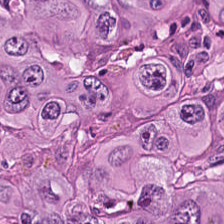0.5 µm/px. H&E-stained tissue section — The predominant tissue is malignant epithelium.
